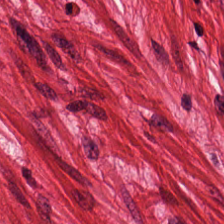Predominant tissue = smooth-muscle tissue.
